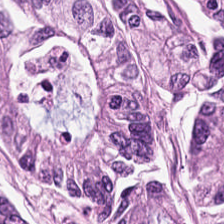Hematoxylin-and-eosin stained section. Impression — colorectal adenocarcinoma.
